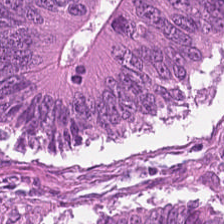Predominantly colorectal adenocarcinoma epithelium.
